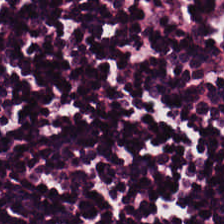H&E-stained tissue section; brightfield. {"tissue_type": "lymphoid infiltrate"}
